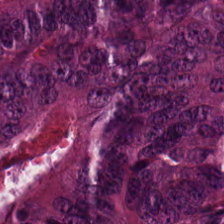H&E stain. FFPE tissue section.
The tissue is malignant epithelium.
